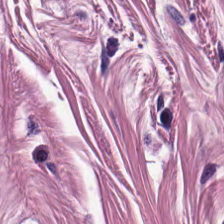Hematoxylin-and-eosin stained section; 224×224 pixel tile. Predominantly smooth-muscle tissue.
